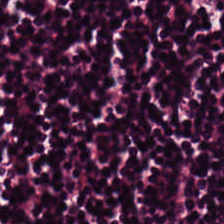Hematoxylin and eosin; WSI patch.
{"tissue_type": "lymphocytes"}
